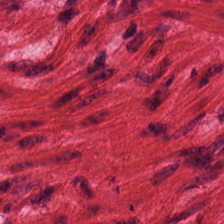Histology → smooth muscle.
